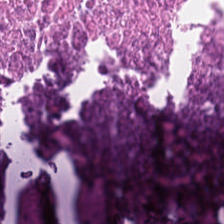H&E-stained tissue section — Histology → necrotic debris.
